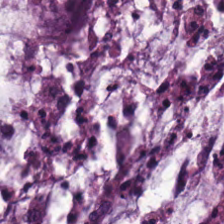H&E patch showing mucin.
